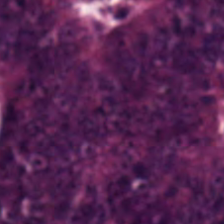H&E · whole-slide-image patch.
Q: Identify the tissue.
A: This is adenocarcinoma.
